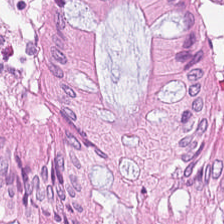Brightfield microscopy. Hematoxylin and eosin. This patch shows non-neoplastic colon mucosa.
